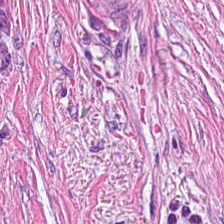H&E · 224×224 px patch · 20× equivalent magnification. Tissue type: desmoplastic stroma.
